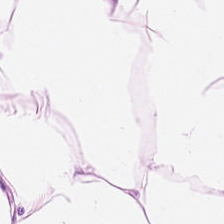H&E-stained tissue section — Q: What is shown here?
A: Adipose tissue.
